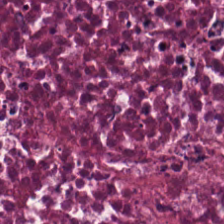H&E stain. {"tissue_type": "necrotic debris"}
